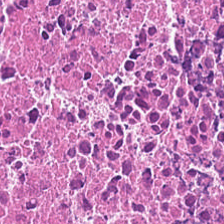Hematoxylin and eosin — This patch shows debris.
